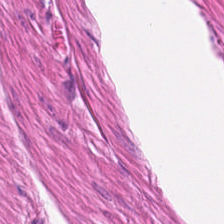Hematoxylin and eosin.
Tissue class: smooth muscle.
